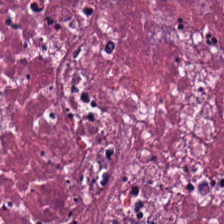H&E-stained tissue section.
Q: What type of tissue is this?
A: This is necrotic debris.
